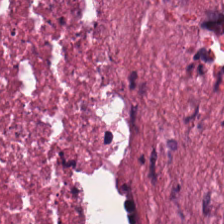0.5 microns per pixel · H&E-stained tissue section · FFPE tissue section.
Q: What tissue type is shown here?
A: The field shows necrotic debris.
